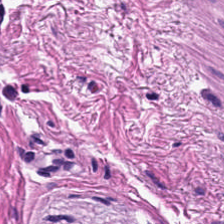H&E stain.
Q: What does this patch show?
A: Smooth muscle.
